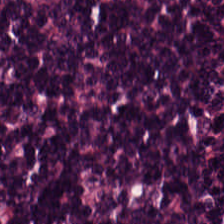H&E-stained section; the field shows lymphocytes.
